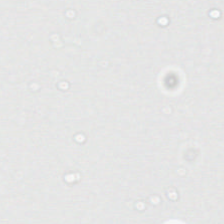H&E-stained tissue section.
Q: What is shown here?
A: It is empty background.
